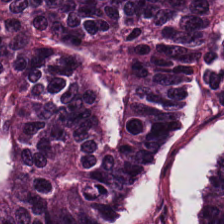Hematoxylin and eosin · brightfield — Classification — adenocarcinoma.
